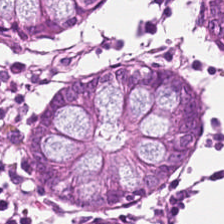Stain: hematoxylin-and-eosin stained section.
Preparation: formalin-fixed paraffin-embedded section.
Classification: non-neoplastic colon mucosa.
